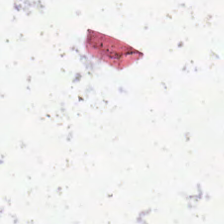H&E-stained tissue section. Field content — background.
